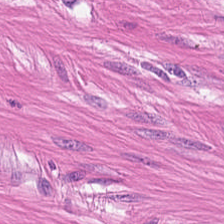224×224 px tile. Hematoxylin-and-eosin stained section. FFPE. The predominant tissue is muscularis.
